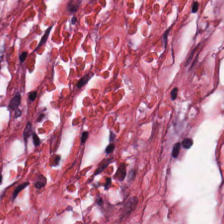H&E-stained tissue section. Classification — tumor stroma.
